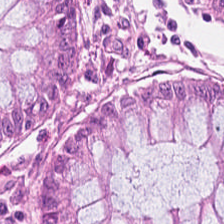H&E-stained tissue section.
The tissue here is benign colonic mucosa.
